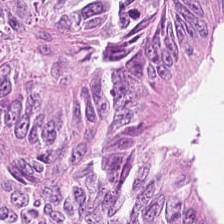Stain: H&E-stained tissue section.
Preparation: FFPE.
Classification: colorectal adenocarcinoma.
